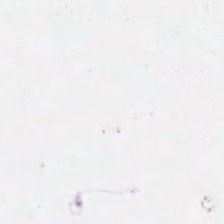H&E-stained tissue section. This field is background (no tissue).
